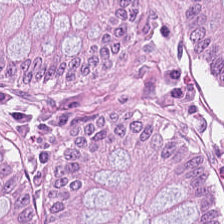H&E-stained tissue section showing normal colonic mucosa.
